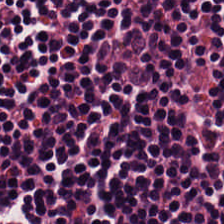Hematoxylin-and-eosin stained section — The tissue class is lymphocytic infiltrate.
